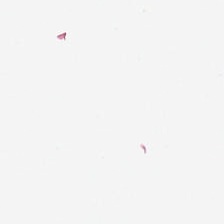Hematoxylin and eosin.
This field is background (no tissue).
